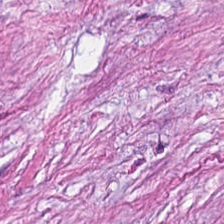H&E — Histology — desmoplastic stroma.
